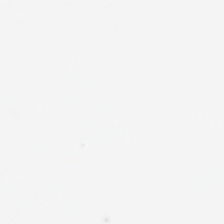H&E — Histology — empty background.
